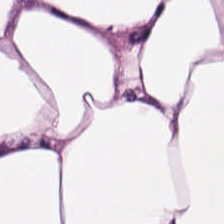224×224 pixel tile. Hematoxylin and eosin. Fat tissue.
